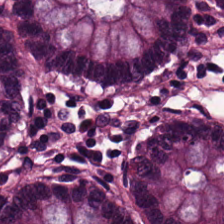Stain: H&E-stained tissue section.
Predominant tissue: normal colon mucosa.
